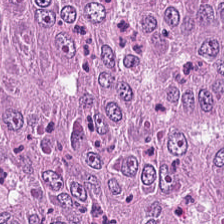Stain: H&E-stained tissue section.
Preparation: FFPE.
Predominant tissue: colorectal adenocarcinoma.
